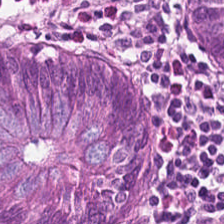Stain: H&E-stained tissue section.
Classification: non-neoplastic colon mucosa.
